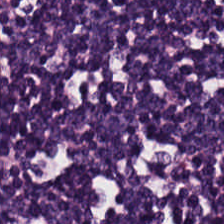H&E-stained section; the field shows lymphocytes.
